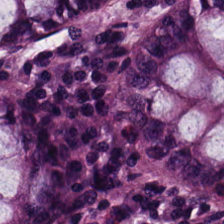Tissue class: normal colonic mucosa.
